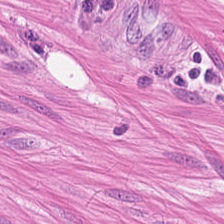Hematoxylin-and-eosin stained section. Q: What tissue is shown?
A: This is smooth-muscle tissue.
